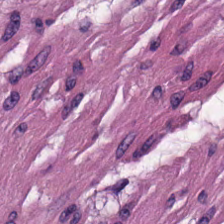H&E-stained tissue section.
{"tissue_type": "smooth-muscle tissue"}
